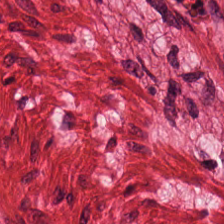H&E — The predominant tissue is smooth muscle.
